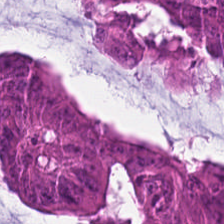The tissue here is adenocarcinoma.
